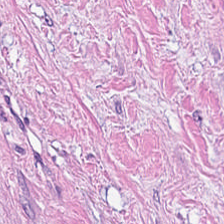FFPE tissue section · H&E stain — {"tissue_type": "tumor stroma"}
